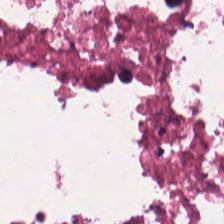Hematoxylin and eosin.
Q: What is the predominant tissue type?
A: Necrotic debris.
